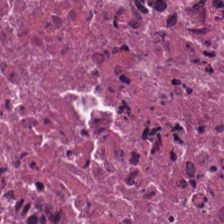Hematoxylin and eosin; brightfield microscopy.
Predominantly debris.
